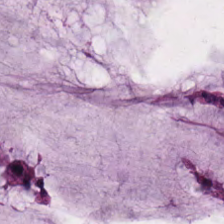Tissue class: mucus.
